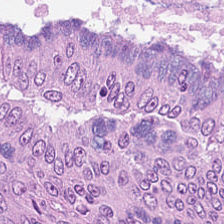The predominant tissue is colorectal adenocarcinoma epithelium.
